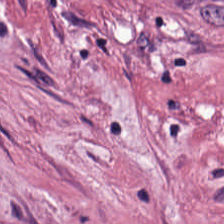224×224 pixel tile; hematoxylin and eosin — This field is desmoplastic stroma.
